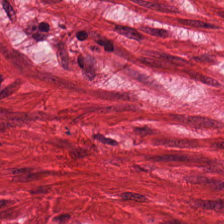Hematoxylin-and-eosin stained section. Tissue class = smooth-muscle tissue.
